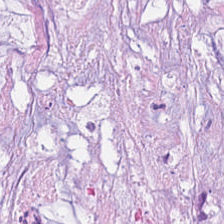Classification — extracellular mucin.
